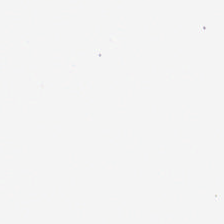0.5 µm per pixel · hematoxylin-and-eosin stained section. Q: What is shown in this field?
A: The field shows no tissue.
